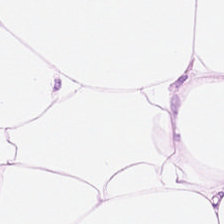Hematoxylin and eosin — This field is adipose tissue.
